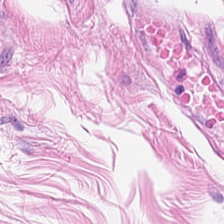224×224 px tile · H&E.
The tissue type is muscularis.
